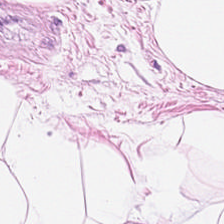H&E stain.
Tissue = adipocytes.
